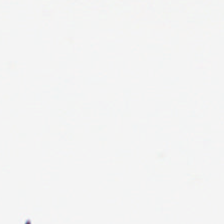H&E stain; brightfield — This patch shows background (no tissue).
